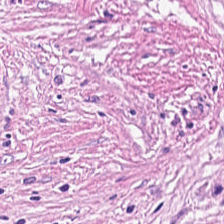Hematoxylin-and-eosin stained section. Classification: desmoplastic stroma.
